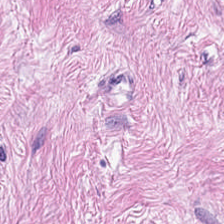H&E-stained tissue section — Tissue type = tumor-associated stroma.
